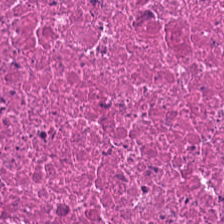H&E stain. Q: What is shown here?
A: Necrotic debris.
